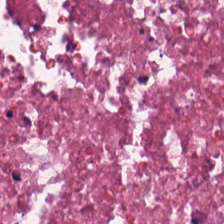Showing debris.
